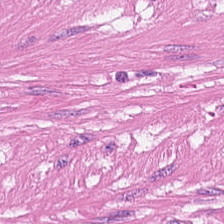H&E-stained tissue section — Q: What does this patch show?
A: The field shows smooth muscle.
